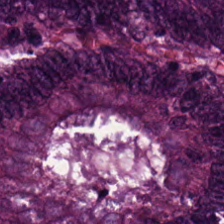H&E stain · FFPE tissue section · brightfield. Q: What tissue is shown?
A: The field shows adenocarcinoma.
